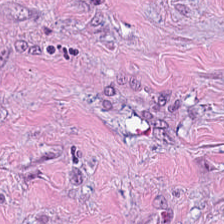Showing tumor stroma.
